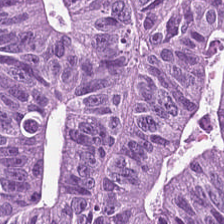Hematoxylin and eosin · 0.5 µm/px. Tissue — adenocarcinoma.
